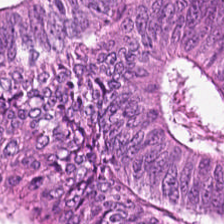224×224 px tile. H&E-stained tissue section — The tissue here is colorectal adenocarcinoma epithelium.
